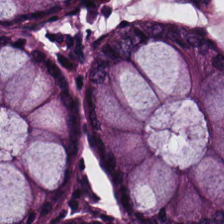Formalin-fixed paraffin-embedded section. Hematoxylin-and-eosin stained section. The predominant tissue is normal colonic mucosa.
